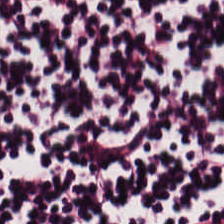{"tissue_type": "lymphocytic infiltrate"}
